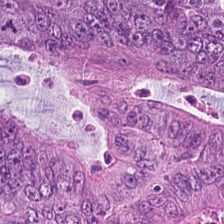The predominant tissue is colorectal adenocarcinoma epithelium.
